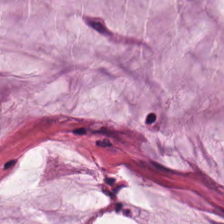Formalin-fixed paraffin-embedded section. H&E stain.
Q: What tissue is shown?
A: It is mucus.
